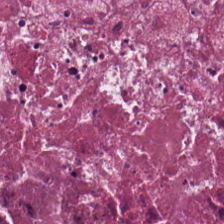224×224 px tile · H&E · 0.5 µm/px. Impression — cellular debris.
